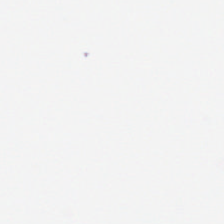Impression → background.
